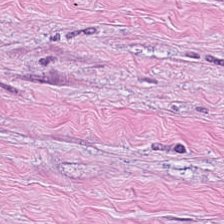H&E-stained section; the field shows cancer-associated stroma.
